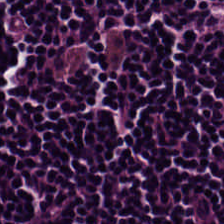Hematoxylin-and-eosin stained section — Predominant tissue — lymphocyte aggregate.
